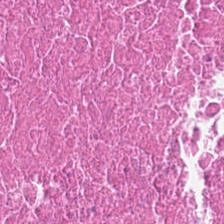H&E — This field is cellular debris.
